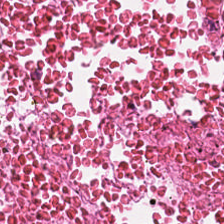H&E stain. FFPE tissue section.
Predominant tissue: necrotic debris.
